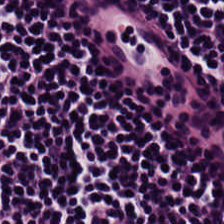Hematoxylin-and-eosin stained section.
{"tissue_type": "lymphocytes"}
